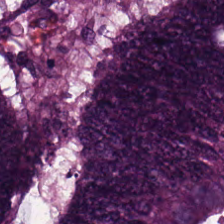H&E — colorectal adenocarcinoma.
